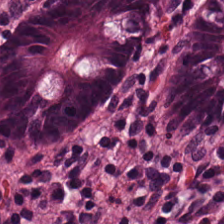Hematoxylin-and-eosin stained section · 224×224 px tile — Classification — non-neoplastic colon mucosa.
